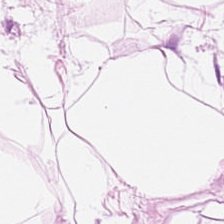Q: What tissue is shown?
A: The field shows adipose tissue.
